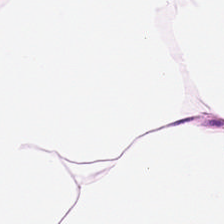H&E · whole-slide-image patch. Q: What is shown in this field?
A: This is fat tissue.
